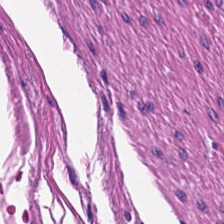H&E.
Classification: smooth-muscle tissue.
